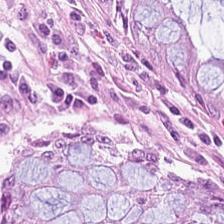Normal colon mucosa.
